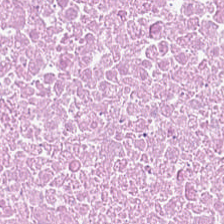Stain: H&E.
Classification: cellular debris.
